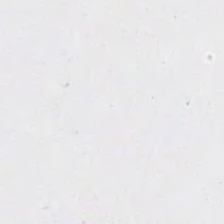H&E · WSI patch — Q: Classify this patch.
A: It is background.
